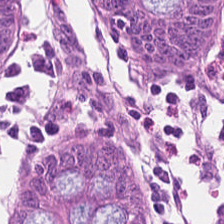H&E. The predominant tissue is normal colon mucosa.
